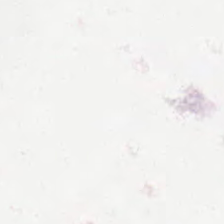Q: What is shown in this field?
A: The field shows background (no tissue).
